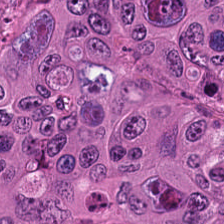Hematoxylin and eosin — Classification: adenocarcinoma.
